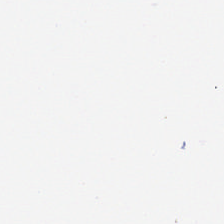Stain: hematoxylin-and-eosin stained section.
Classification: background.
